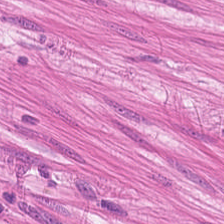Stain: H&E stain.
Tissue type: smooth muscle.
